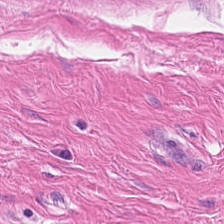H&E-stained tissue section. Showing muscularis.
